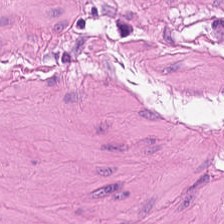H&E-stained tissue section · FFPE tissue section · 224×224 px patch. Impression — smooth-muscle tissue.
